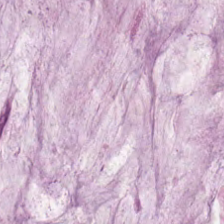H&E stain — Tissue class — mucin.
